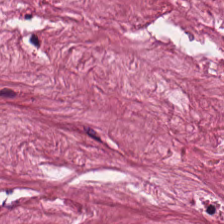H&E stain; 224×224 px patch. This field is cancer-associated stroma.
